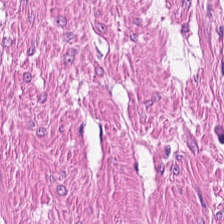Hematoxylin-and-eosin stained section; FFPE tissue section.
Impression — smooth muscle.
